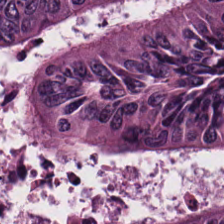Hematoxylin-and-eosin stained section.
This patch shows colorectal adenocarcinoma.
